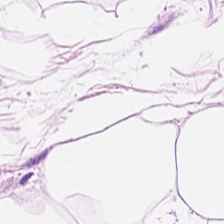Stain: hematoxylin-and-eosin stained section.
Tissue: adipocytes.
